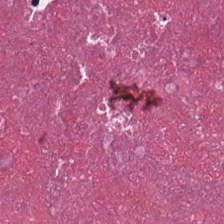H&E stain — The tissue here is debris.
